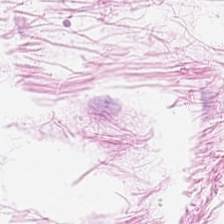H&E stain. Predominantly adipose.
